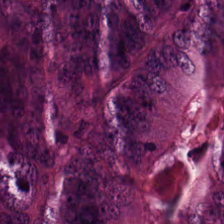Histology → malignant epithelium.
